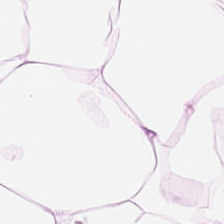Hematoxylin and eosin; whole-slide-image patch.
Predominantly adipose tissue.
